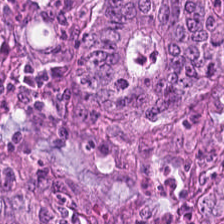Hematoxylin-and-eosin stained section · formalin-fixed paraffin-embedded section.
This field is tumor epithelium.
